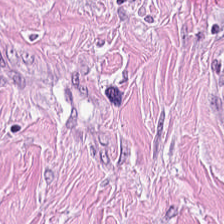Tumor stroma.
